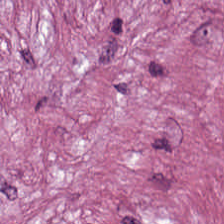Stain: hematoxylin and eosin.
Resolution: 20× equivalent magnification.
Classification: tumor-associated stroma.
